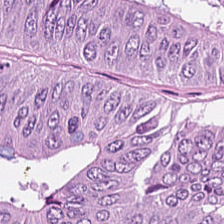Hematoxylin and eosin · whole-slide-image patch — Q: What is the predominant tissue type?
A: The field shows colorectal adenocarcinoma.
